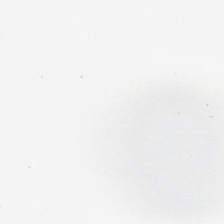0.5 µm per pixel · hematoxylin and eosin.
This field is background (no tissue).
